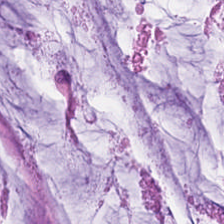H&E stain.
Predominant tissue: extracellular mucin.
